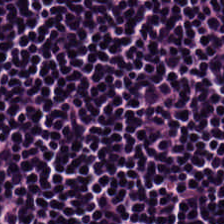Formalin-fixed paraffin-embedded section. Hematoxylin-and-eosin stained section. The tissue here is lymphocyte aggregate.
